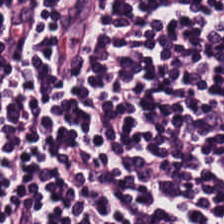Hematoxylin and eosin; FFPE tissue section — Q: What tissue type is shown here?
A: It is lymphocyte aggregate.
